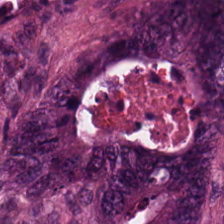H&E stain.
The tissue here is adenocarcinoma.
